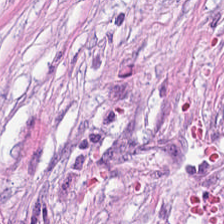Q: What type of tissue is this?
A: It is desmoplastic stroma.
